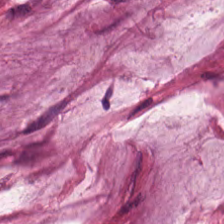FFPE tissue section; 224×224 px tile; hematoxylin-and-eosin stained section. The classification is mucus.
